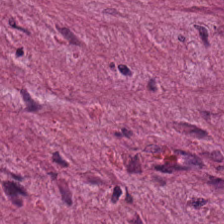Hematoxylin and eosin — The tissue here is cancer-associated stroma.
